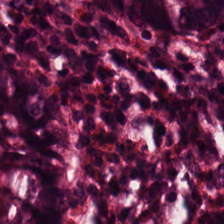H&E. 20× equivalent magnification. FFPE. Showing non-neoplastic colon mucosa.
